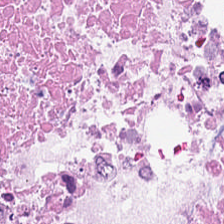H&E-stained tissue section. The tissue here is cellular debris.
